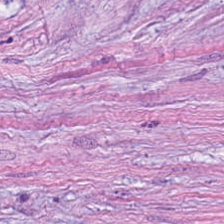Hematoxylin and eosin · FFPE tissue section · 224×224 px tile. Finding — tumor stroma.
